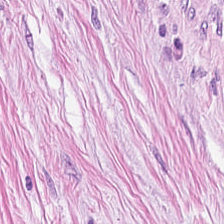Hematoxylin and eosin — The tissue here is desmoplastic stroma.
